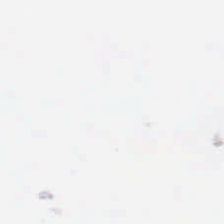Hematoxylin-and-eosin stained section — This patch shows empty background.
